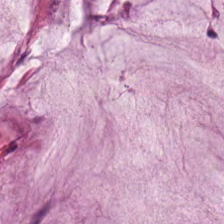H&E stain.
Predominantly mucus.
